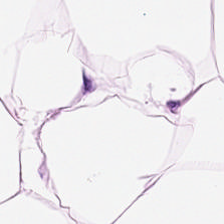Hematoxylin-and-eosin stained section. This field is adipocytes.
